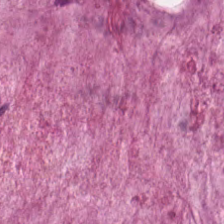H&E stain — The tissue class is mucus.
